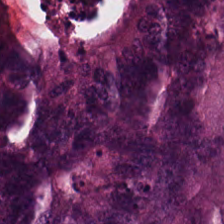H&E-stained tissue section.
Q: What is the predominant tissue type?
A: This is malignant epithelium.
